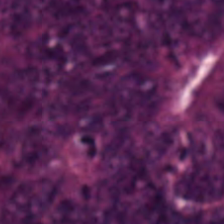0.5 microns per pixel · hematoxylin-and-eosin stained section · 224×224 pixel tile — Colorectal adenocarcinoma.
